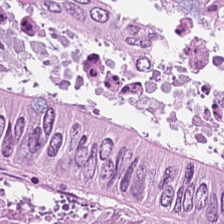H&E stain — Colorectal adenocarcinoma epithelium.
